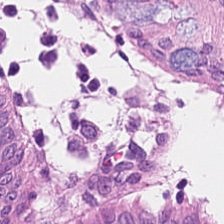Predominant tissue: non-neoplastic colon mucosa.
